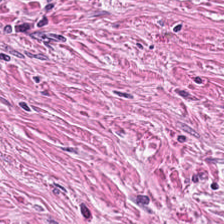H&E stain. 0.5 µm per pixel.
This patch shows cancer-associated stroma.
